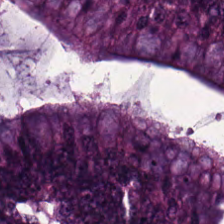Hematoxylin and eosin; 224×224 px tile. This field is colorectal adenocarcinoma epithelium.
